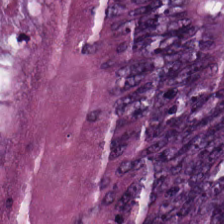0.5 µm per pixel; hematoxylin-and-eosin stained section; formalin-fixed paraffin-embedded section — Q: What type of tissue is this?
A: The field shows adenocarcinoma.
